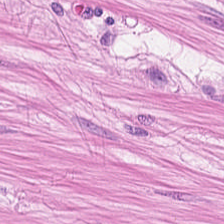H&E.
Q: What tissue type is shown here?
A: This is smooth muscle.
